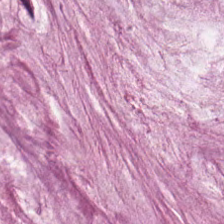H&E-stained tissue section showing mucus.
